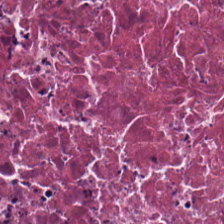H&E-stained tissue section · brightfield microscopy · 0.5 µm/px.
The tissue here is cellular debris.
